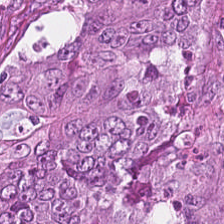224×224 px patch. H&E stain. 0.5 microns per pixel.
The tissue type is adenocarcinoma.
